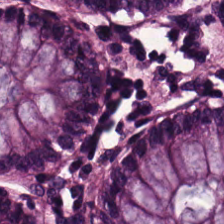H&E stain. 224×224 px patch.
Q: What tissue is shown?
A: Normal colonic mucosa.
